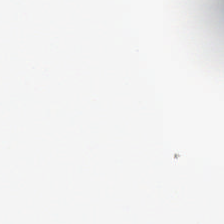Whole-slide-image patch · 224×224 px patch · hematoxylin-and-eosin stained section. Field content: background.
